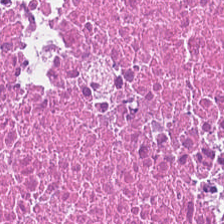Hematoxylin and eosin. The predominant tissue is necrotic debris.
